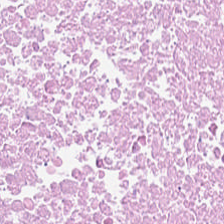H&E stain. The tissue here is cellular debris.
